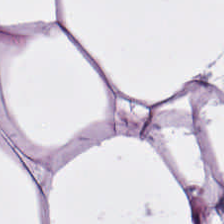Hematoxylin and eosin. Q: What is shown in this field?
A: Adipocytes.
